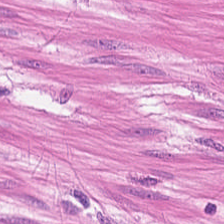Hematoxylin and eosin.
The tissue here is smooth muscle.
